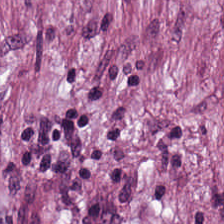0.5 microns per pixel. Hematoxylin and eosin. 224×224 px patch — {"tissue_type": "desmoplastic stroma"}
